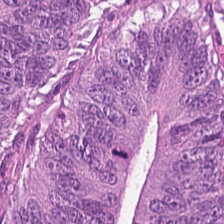{"tissue_type": "colorectal adenocarcinoma epithelium"}
